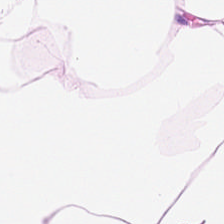224×224 px tile; hematoxylin-and-eosin stained section — This patch shows adipose.
